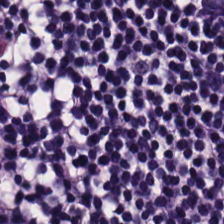H&E — Lymphocyte aggregate.
